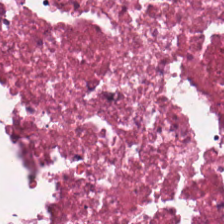Tissue = necrotic debris.
